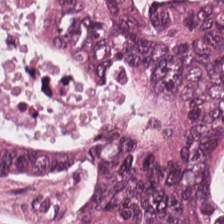The tissue here is adenocarcinoma.
